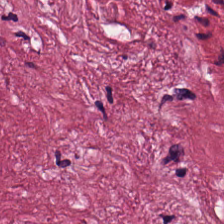Stain: H&E-stained tissue section.
Resolution: 0.5 microns per pixel.
Preparation: FFPE.
Tissue class: tumor-associated stroma.
